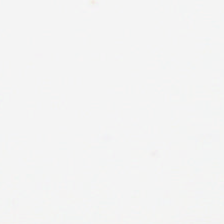Hematoxylin-and-eosin stained section; brightfield — Finding → background (no tissue).
